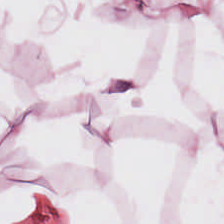Tissue type = adipose.
